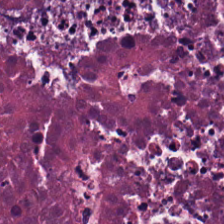20× equivalent magnification · hematoxylin and eosin.
Showing necrotic debris.
